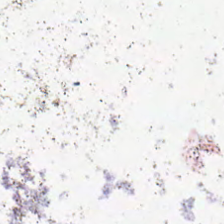H&E-stained tissue section. Finding → background (no tissue).
